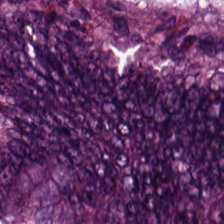Stain: H&E stain.
Predominant tissue: adenocarcinoma.
